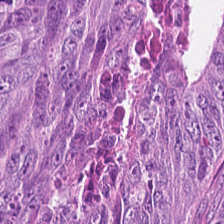Brightfield microscopy. Hematoxylin and eosin.
This field is malignant epithelium.
